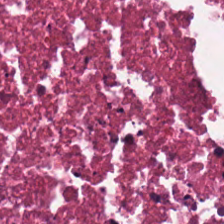Formalin-fixed paraffin-embedded section · H&E stain.
Finding — cellular debris.
